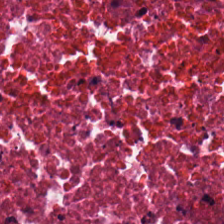FFPE tissue section; H&E-stained tissue section; 224×224 px patch. The tissue type is necrotic debris.
